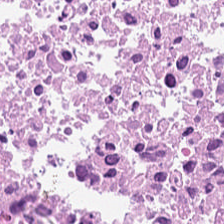Stain: H&E.
Predominant tissue: cellular debris.
